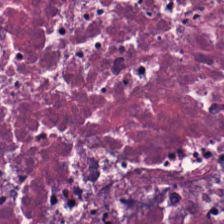H&E stain · 224×224 px tile · brightfield microscopy. Histology → necrotic debris.
